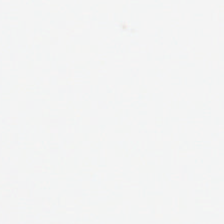This patch shows background (no tissue).
